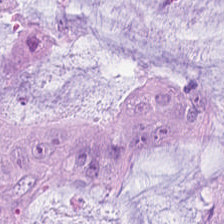Hematoxylin and eosin.
Tissue = mucus.
